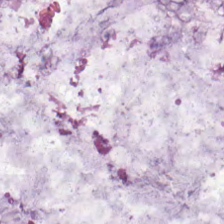Stain: H&E.
Predominant tissue: extracellular mucin.
